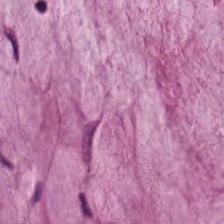H&E stain. Showing mucin.
